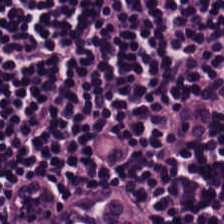Hematoxylin-and-eosin stained section. Finding — lymphocytes.
